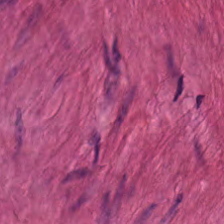0.5 microns per pixel · hematoxylin-and-eosin stained section — This patch shows muscularis.
